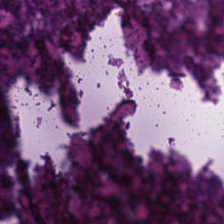Formalin-fixed paraffin-embedded section; H&E stain. Q: What type of tissue is this?
A: The field shows necrotic debris.
